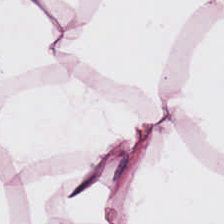Hematoxylin-and-eosin section: adipose tissue.
